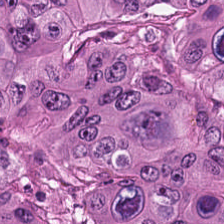H&E-stained tissue section showing colorectal adenocarcinoma.
